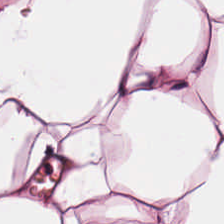H&E — adipocytes.
